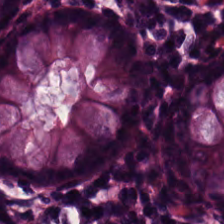H&E · 224×224 pixel tile · FFPE — The predominant tissue is non-neoplastic colon mucosa.
